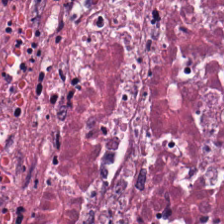Tissue class: debris.
